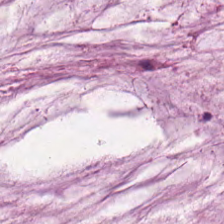Q: Classify this patch.
A: It is mucin.
